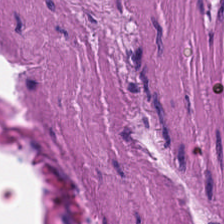224×224 px tile; H&E-stained tissue section.
Showing smooth muscle.
